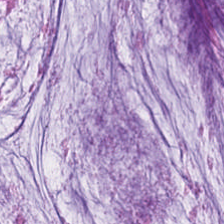Q: What is shown here?
A: Mucin.
